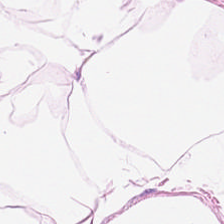H&E-stained tissue section. 224×224 px patch.
Q: What tissue is shown?
A: The field shows fat tissue.
